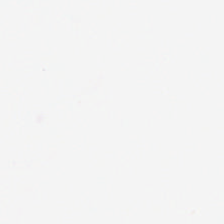FFPE; hematoxylin-and-eosin stained section.
Background — no tissue in this field.
